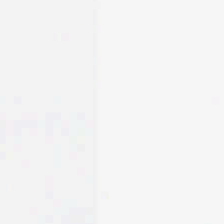Brightfield microscopy; H&E-stained tissue section.
No tissue present; background only.
